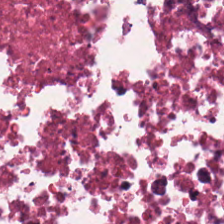H&E-stained tissue section.
The tissue is debris.
